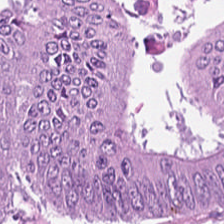H&E — Q: What does this patch show?
A: This is adenocarcinoma.
